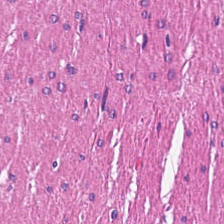0.5 µm/px. Hematoxylin-and-eosin stained section. FFPE tissue section. The predominant tissue is smooth muscle.
